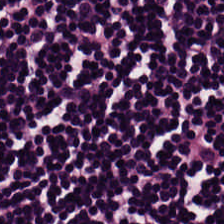Hematoxylin and eosin. Q: What tissue is shown?
A: This is lymphocytes.
